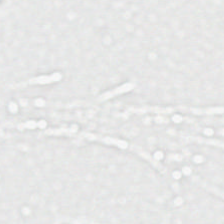Hematoxylin and eosin; formalin-fixed paraffin-embedded section — This field is background (no tissue).
